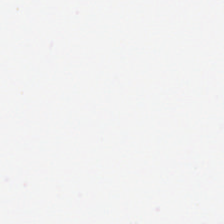FFPE. Hematoxylin-and-eosin stained section. 224×224 pixel tile.
Field content: background.
